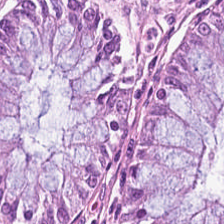H&E stain — This patch shows non-neoplastic colon mucosa.
